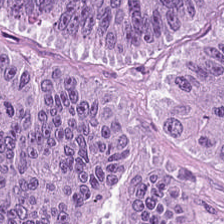Whole-slide-image patch. H&E stain — Showing tumor epithelium.
